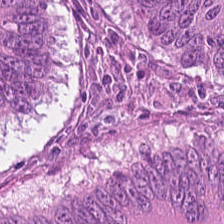H&E · formalin-fixed paraffin-embedded section — The classification is colorectal adenocarcinoma.
